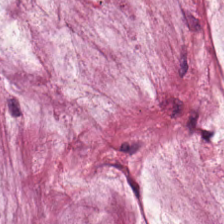This field is mucus.
